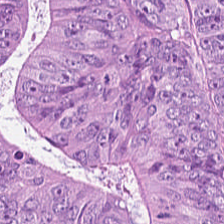Hematoxylin-and-eosin stained section.
Q: Classify this patch.
A: Tumor epithelium.
